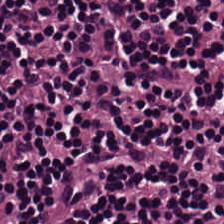H&E — The tissue here is lymphocytes.
